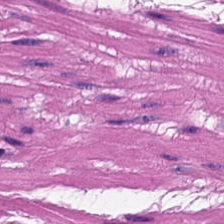Hematoxylin-and-eosin stained section; 224×224 px patch.
Q: Classify this patch.
A: The field shows smooth muscle.
